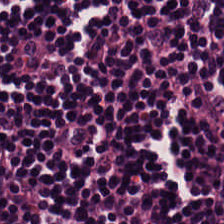Hematoxylin and eosin.
Showing lymphocytic infiltrate.
